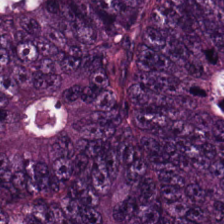20× equivalent magnification. Hematoxylin and eosin. Tissue class — malignant epithelium.
